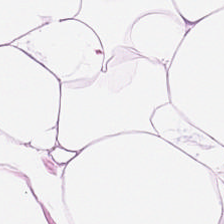FFPE tissue section; 20× equivalent magnification; H&E — This patch shows adipose tissue.
